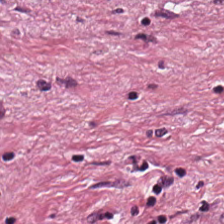0.5 microns per pixel. H&E — Q: What does this patch show?
A: Cancer-associated stroma.
